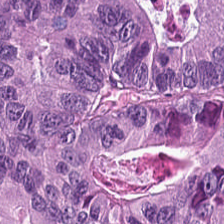Stain: H&E-stained tissue section.
Tissue: malignant epithelium.
